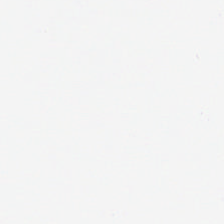H&E-stained tissue section; formalin-fixed paraffin-embedded section; 224×224 px tile.
Classification = empty background.
